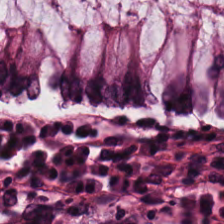FFPE tissue section; hematoxylin-and-eosin stained section.
{"tissue_type": "benign colonic mucosa"}
